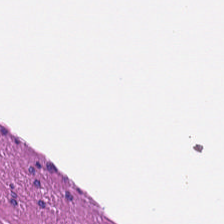Hematoxylin and eosin. Whole-slide-image patch — Classification: smooth muscle.
